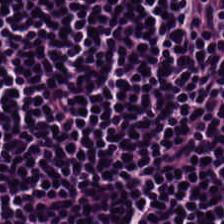224×224 pixel tile. FFPE. Hematoxylin and eosin.
The tissue type is lymphocytic infiltrate.
